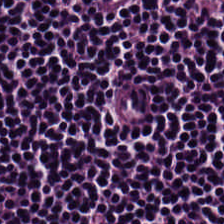Tissue class — lymphocyte aggregate.
